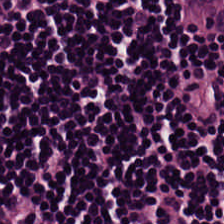H&E-stained tissue section · 0.5 µm/px — This patch shows lymphocyte aggregate.
